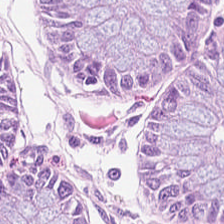Stain: H&E-stained tissue section.
Predominant tissue: non-neoplastic colon mucosa.
